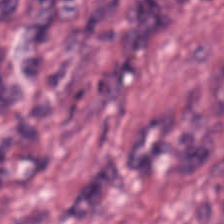224×224 px patch; hematoxylin-and-eosin stained section.
The tissue type is desmoplastic stroma.
